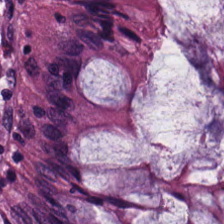The predominant tissue is non-neoplastic colon mucosa.
